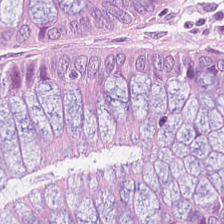Whole-slide-image patch. H&E — The classification is non-neoplastic colon mucosa.
